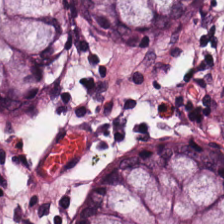H&E stain. Tissue: normal colon mucosa.
